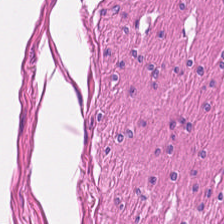H&E. 0.5 µm per pixel.
Predominantly smooth muscle.
